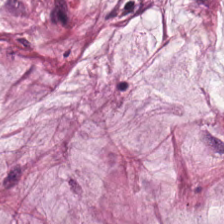FFPE · hematoxylin-and-eosin stained section. Finding — mucus.
